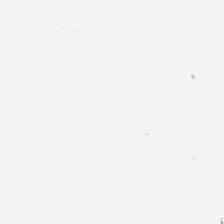Formalin-fixed paraffin-embedded section. H&E stain — Q: What does this patch show?
A: Empty background.
